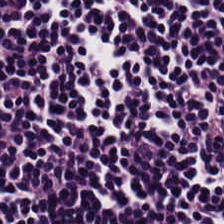Hematoxylin and eosin. The predominant tissue is lymphocyte aggregate.
